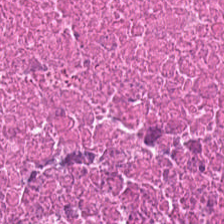20× equivalent magnification · H&E stain · formalin-fixed paraffin-embedded section.
Q: What is the predominant tissue type?
A: Debris.
